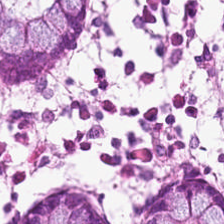H&E stain.
{"tissue_type": "normal colonic mucosa"}
